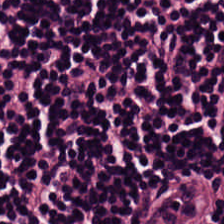Hematoxylin and eosin · 224×224 px tile.
Tissue type: lymphocyte aggregate.
